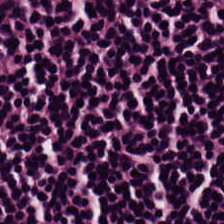Hematoxylin-and-eosin stained section. Q: What type of tissue is this?
A: Lymphocytes.
